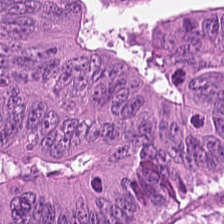H&E-stained tissue section · 0.5 µm/px.
Tumor epithelium.
